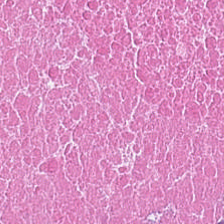0.5 µm/px; 224×224 px tile; hematoxylin-and-eosin stained section.
Tissue type = necrotic debris.
